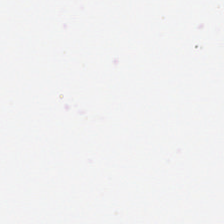Hematoxylin-and-eosin stained section. Q: What is shown here?
A: No tissue.
